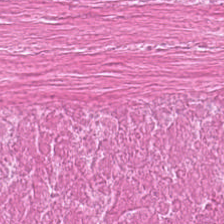Hematoxylin-and-eosin stained section — This field is debris.
